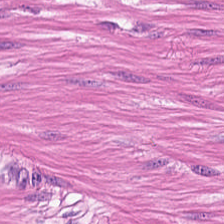Muscularis.
